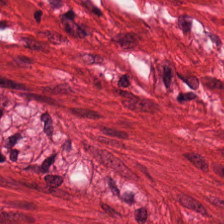Hematoxylin and eosin.
Predominantly muscularis.
